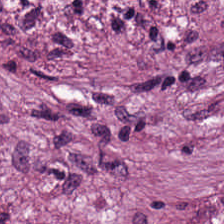Formalin-fixed paraffin-embedded section. H&E stain. 20× equivalent magnification.
Q: What tissue type is shown here?
A: It is cancer-associated stroma.
